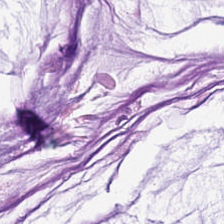Q: What type of tissue is this?
A: Mucin.
